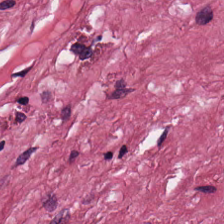Hematoxylin-and-eosin stained section.
{"tissue_type": "tumor stroma"}
